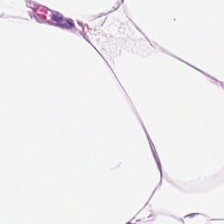H&E stain · 0.5 microns per pixel — Q: What tissue is shown?
A: The field shows adipose tissue.
